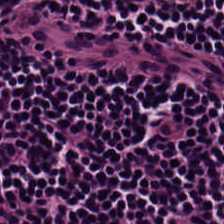Stain: H&E.
Tissue type: lymphocytes.
